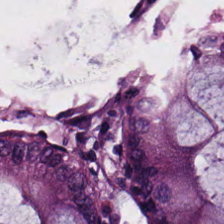224×224 px patch; H&E; 0.5 µm/px.
Q: What is shown in this field?
A: The field shows benign colonic mucosa.
